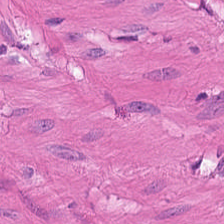Brightfield microscopy · FFPE tissue section · hematoxylin and eosin — Q: What tissue is shown?
A: This is muscularis.
